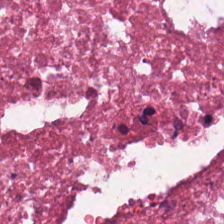224×224 px tile · hematoxylin and eosin · FFPE. The tissue class is debris.
